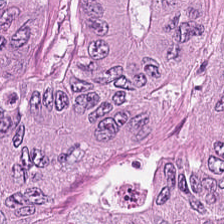Hematoxylin and eosin.
{"tissue_type": "malignant epithelium"}
